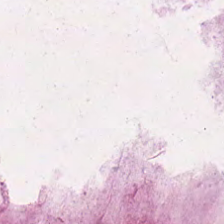Q: What is shown in this field?
A: This is mucus.
